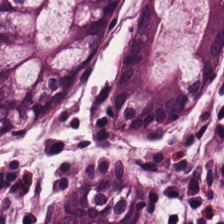FFPE · 224×224 px patch · H&E-stained tissue section.
The predominant tissue is normal colonic mucosa.
